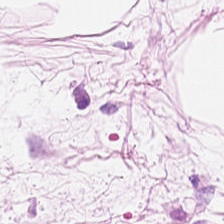H&E-stained tissue section. Showing fat tissue.
